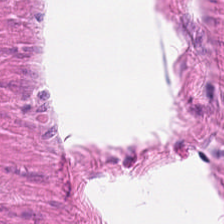Hematoxylin and eosin · 224×224 px patch · brightfield microscopy — Tissue — muscularis.
